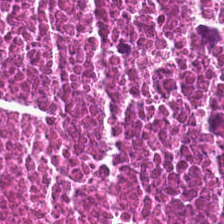Finding — debris.
